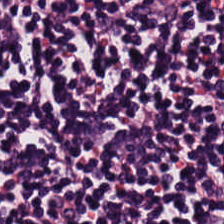Tissue — lymphocyte aggregate.
